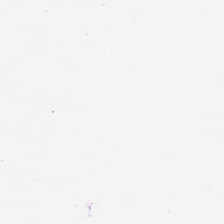H&E stain — Content — empty background.
